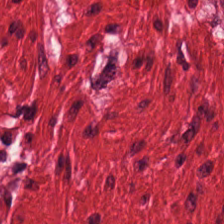Q: What is shown in this field?
A: Smooth muscle.
